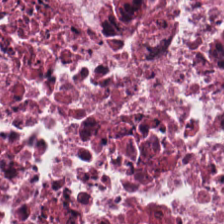Q: What type of tissue is this?
A: It is necrotic debris.
